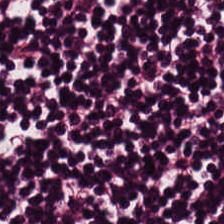Tissue type — lymphocyte aggregate.
